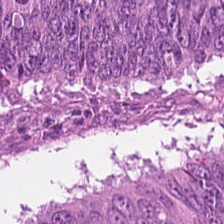H&E stain — Classification — colorectal adenocarcinoma.
